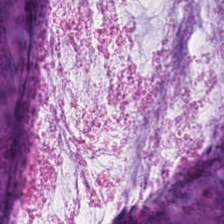20× equivalent magnification; H&E.
Predominant tissue — mucin.
